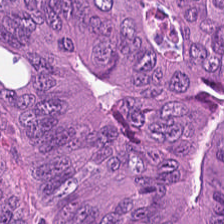FFPE tissue section · H&E-stained tissue section · 0.5 µm per pixel.
Q: What is shown here?
A: It is tumor epithelium.
